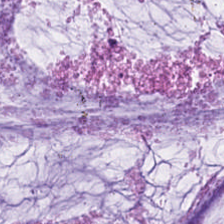Whole-slide-image patch; H&E; FFPE tissue section. This patch shows mucus.
